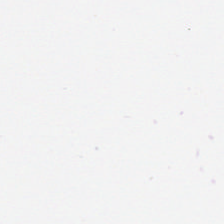Stain: hematoxylin and eosin.
Preparation: FFPE.
Classification: background (no tissue).
